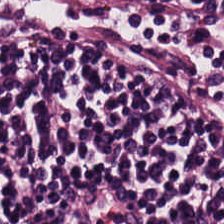20× equivalent magnification · hematoxylin and eosin — Q: What is the predominant tissue type?
A: This is lymphocyte aggregate.
